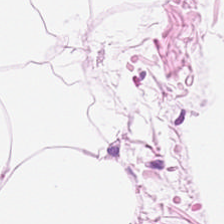FFPE tissue section. H&E. Tissue type: adipocytes.
